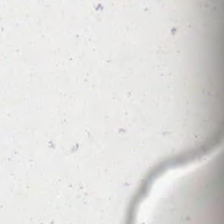Brightfield microscopy. H&E. Q: What does this patch show?
A: Empty background.
